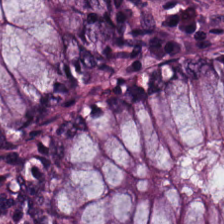H&E stain. Brightfield. 20× equivalent magnification — Impression — normal colonic mucosa.
